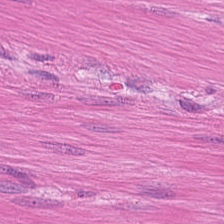WSI patch. H&E. This field is smooth-muscle tissue.
